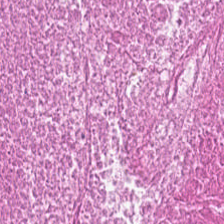Q: What tissue type is shown here?
A: This is cellular debris.
